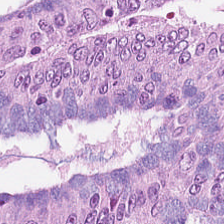H&E-stained section; the field shows adenocarcinoma.
